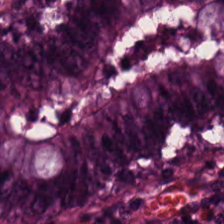H&E-stained tissue section — Showing normal colon mucosa.
